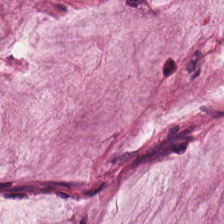Hematoxylin-and-eosin stained section. The classification is mucus.
